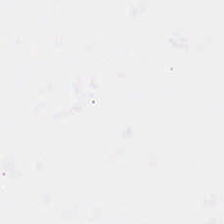H&E.
Background — no tissue in this field.
